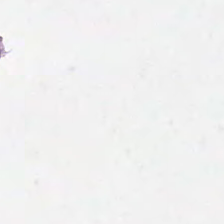Hematoxylin-and-eosin stained section.
{"content": "no tissue"}
